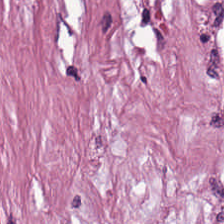0.5 µm per pixel; hematoxylin-and-eosin stained section; WSI patch.
Tissue = tumor stroma.
